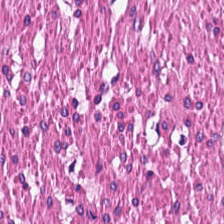FFPE. Hematoxylin-and-eosin stained section.
Predominant tissue = smooth-muscle tissue.
